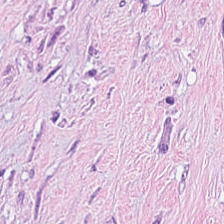Stain: H&E stain.
Preparation: formalin-fixed paraffin-embedded section.
Tissue: desmoplastic stroma.
